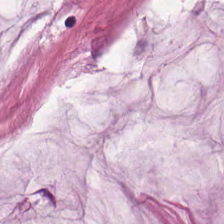This field is mucus.
